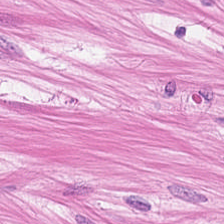H&E stain.
Tissue — smooth muscle.
